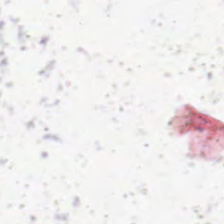No tissue.
